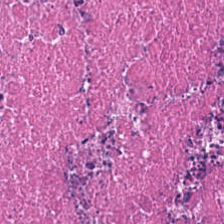Q: What tissue type is shown here?
A: This is debris.
